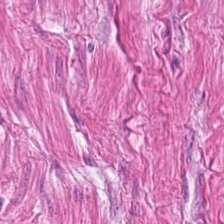Tissue type = smooth muscle.
